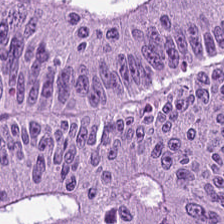Hematoxylin-and-eosin stained section — {"tissue_type": "adenocarcinoma"}
